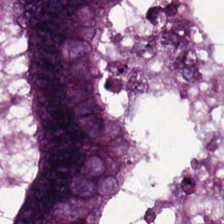H&E. Q: What tissue is shown?
A: This is malignant epithelium.
